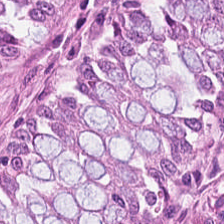Normal colon mucosa.
